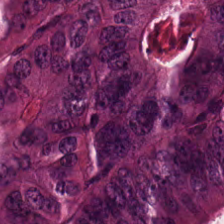Hematoxylin-and-eosin stained section — {"tissue_type": "adenocarcinoma"}
